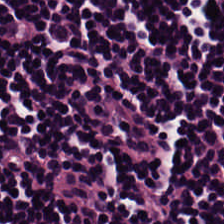H&E.
This patch shows lymphoid infiltrate.
